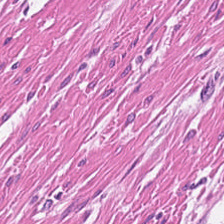FFPE tissue section; H&E — This field is smooth muscle.
